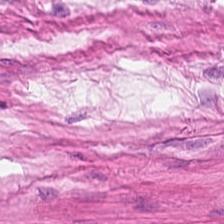Stain: H&E-stained tissue section.
Tissue type: muscularis.
